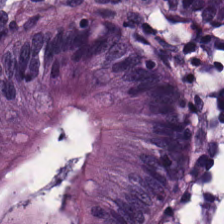The predominant tissue is non-neoplastic colon mucosa.
